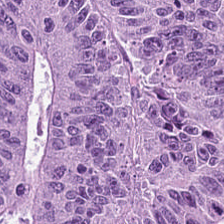This field is colorectal adenocarcinoma.
